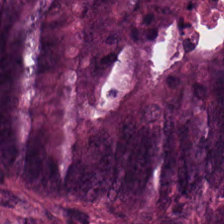Brightfield; formalin-fixed paraffin-embedded section; hematoxylin-and-eosin stained section — Impression — tumor epithelium.
